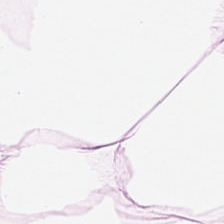224×224 px patch. 20× equivalent magnification. H&E-stained tissue section. The predominant tissue is adipocytes.
